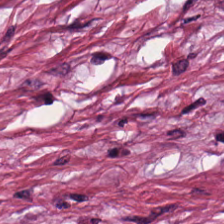Tissue type — tumor stroma.
